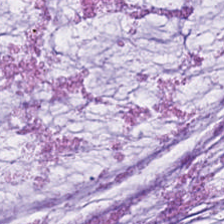{"tissue_type": "mucin"}
